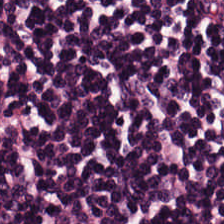0.5 µm/px · hematoxylin and eosin.
Q: What tissue type is shown here?
A: It is lymphocyte aggregate.
